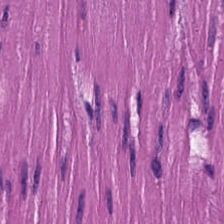Hematoxylin-and-eosin stained section; whole-slide-image patch; formalin-fixed paraffin-embedded section — Tissue class = smooth muscle.
